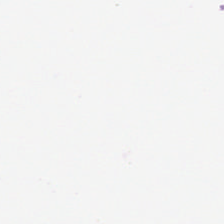Stain: hematoxylin-and-eosin stained section.
Classification: empty background.
